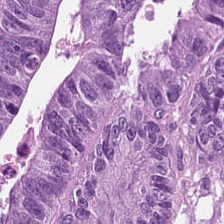Hematoxylin-and-eosin stained section. 224×224 px patch. This patch shows tumor epithelium.
